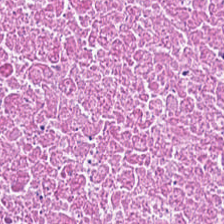Hematoxylin-and-eosin stained section — Tissue class: necrotic debris.
